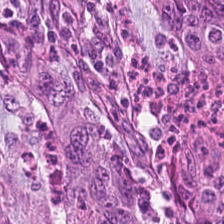H&E-stained tissue section. Tissue type — colorectal adenocarcinoma epithelium.
